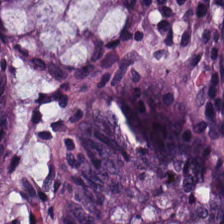H&E — normal colon mucosa.
